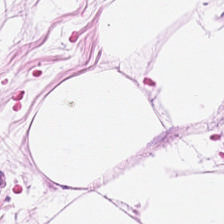H&E stain — Predominantly adipose tissue.
